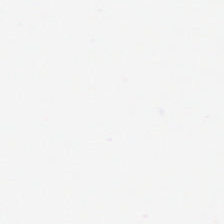H&E — Finding — background (no tissue).
